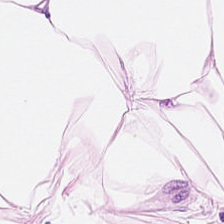Predominantly adipose.
